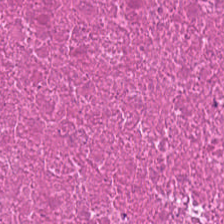Cellular debris.
